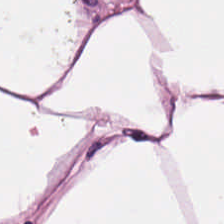The predominant tissue is adipocytes.
